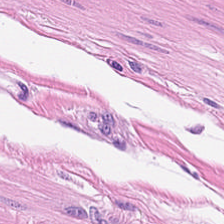H&E stain. Q: What tissue is shown?
A: Muscularis.
